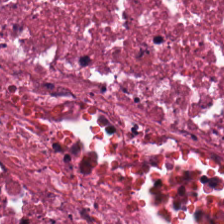Hematoxylin-and-eosin stained section; whole-slide-image patch; 0.5 microns per pixel — Showing cellular debris.
